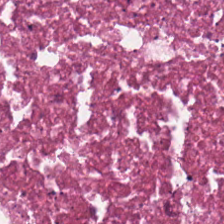Tissue type = necrotic debris.
